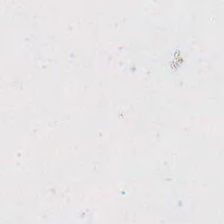224×224 px patch. H&E. {"content": "background"}
